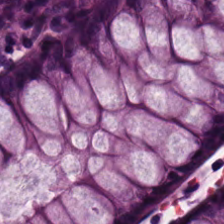H&E-stained tissue section. 0.5 microns per pixel. Brightfield.
Q: Classify this patch.
A: This is normal colon mucosa.
